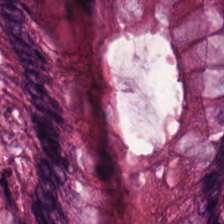Stain: H&E-stained tissue section.
Classification: normal colon mucosa.
